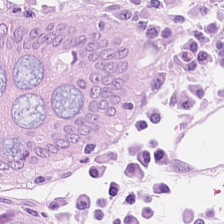Hematoxylin-and-eosin stained section.
The predominant tissue is non-neoplastic colon mucosa.
